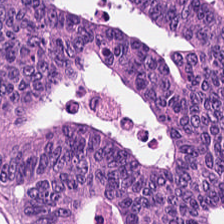Stain: H&E-stained tissue section.
Tissue class: colorectal adenocarcinoma.
